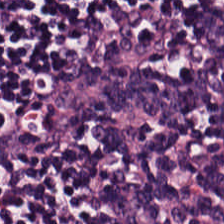Brightfield microscopy; H&E-stained tissue section. Classification — lymphoid infiltrate.
